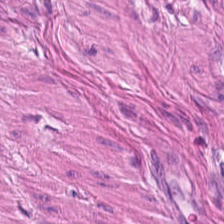Brightfield · H&E stain — Tissue: smooth muscle.
